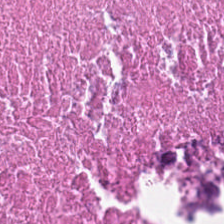Stain: H&E-stained tissue section.
Predominant tissue: cellular debris.
